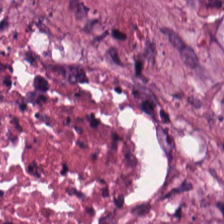Hematoxylin-and-eosin stained section — This patch shows debris.
